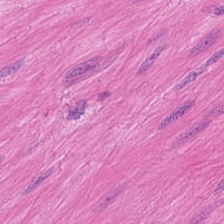Hematoxylin and eosin — Q: Classify this patch.
A: It is smooth-muscle tissue.
